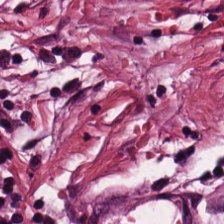Stain: hematoxylin and eosin.
Classification: cancer-associated stroma.
